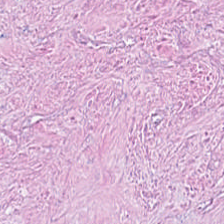Impression → necrotic debris.
